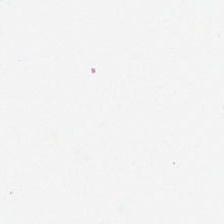H&E-stained tissue section.
Classification — no tissue.
